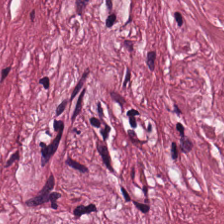Hematoxylin and eosin · 0.5 µm/px.
The tissue here is tumor stroma.
